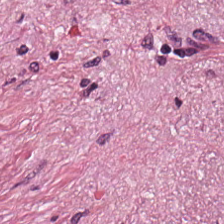H&E-stained tissue section.
Q: Identify the tissue.
A: The field shows tumor-associated stroma.
